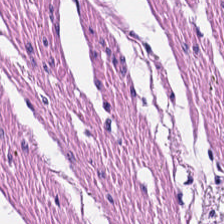0.5 µm per pixel · brightfield · H&E-stained tissue section. Showing smooth muscle.
